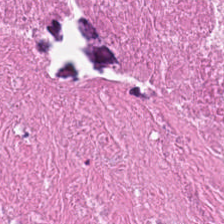Hematoxylin and eosin.
The predominant tissue is debris.
